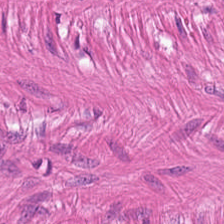Hematoxylin-and-eosin section: smooth-muscle tissue.
